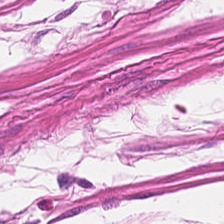H&E · 0.5 µm per pixel.
Q: What is shown in this field?
A: It is muscularis.
